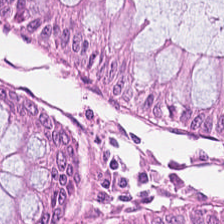Hematoxylin and eosin. FFPE tissue section. 0.5 microns per pixel.
Non-neoplastic colon mucosa.
